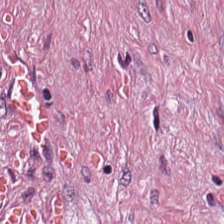224×224 px patch. 0.5 microns per pixel. H&E-stained tissue section.
This field is cancer-associated stroma.
